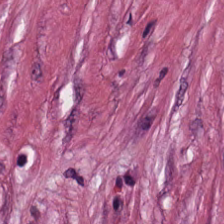Histology → tumor stroma.
